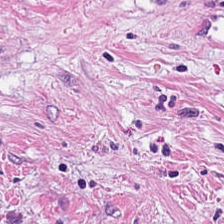H&E.
This patch shows tumor stroma.
